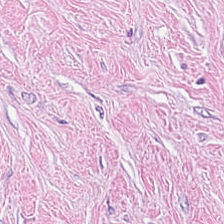H&E — Showing cancer-associated stroma.
